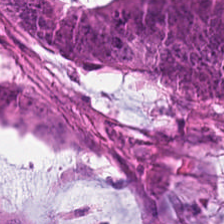Hematoxylin-and-eosin section: colorectal adenocarcinoma epithelium.
